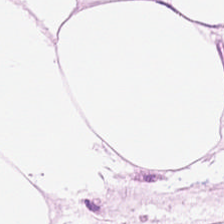224×224 px tile. H&E stain.
Classification: fat tissue.
